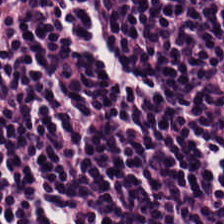Stain: H&E-stained tissue section.
Preparation: FFPE.
Predominant tissue: lymphocytic infiltrate.
